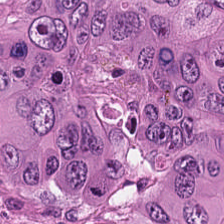H&E stain · 224×224 px patch. Tissue: tumor epithelium.
